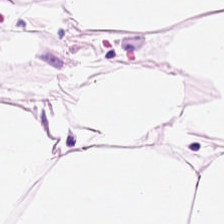H&E stain; FFPE tissue section.
The classification is adipose tissue.
